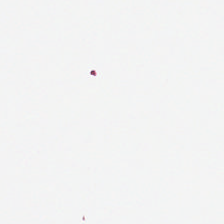Hematoxylin and eosin · FFPE tissue section. Impression → no tissue.
